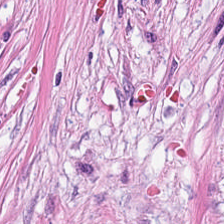20× equivalent magnification. H&E-stained tissue section. FFPE tissue section.
Desmoplastic stroma.
